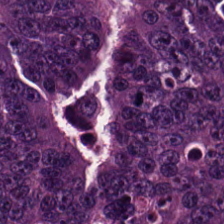H&E stain · 0.5 µm/px · FFPE tissue section — Q: What is shown in this field?
A: It is colorectal adenocarcinoma epithelium.
